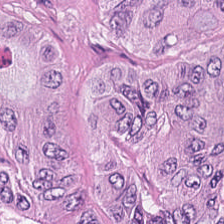H&E-stained tissue section; 0.5 µm/px. This field is tumor epithelium.
